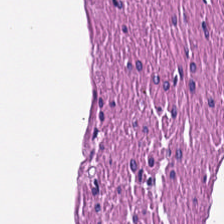Finding → smooth muscle.
